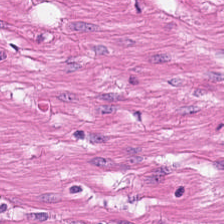Q: Identify the tissue.
A: Muscularis.
